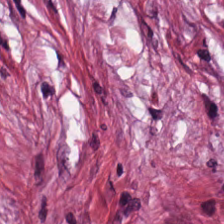Hematoxylin-and-eosin stained section · WSI patch.
Q: What is shown in this field?
A: The field shows cancer-associated stroma.
